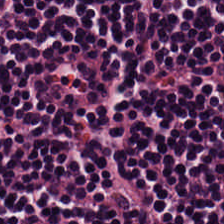H&E stain; FFPE.
Tissue type = lymphocyte aggregate.
